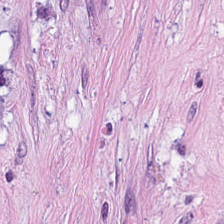The predominant tissue is cancer-associated stroma.
